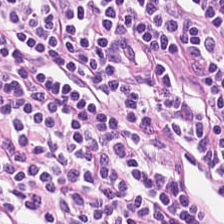224×224 px tile · hematoxylin-and-eosin stained section.
Predominantly lymphoid infiltrate.
